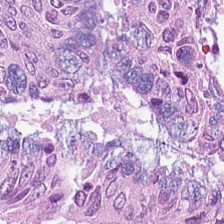224×224 px patch. Hematoxylin and eosin.
Tissue type = tumor epithelium.
